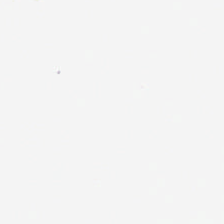Stain: hematoxylin-and-eosin stained section.
Field content: background.
